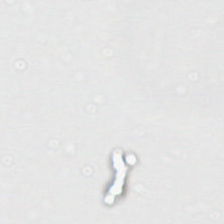Hematoxylin-and-eosin stained section. Q: Classify this patch.
A: Empty background.
